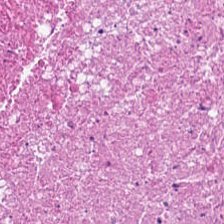H&E stain.
Q: What type of tissue is this?
A: It is necrotic debris.
